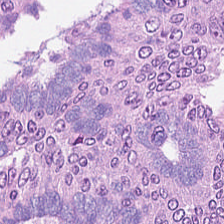Hematoxylin-and-eosin stained section. 0.5 microns per pixel — This field is malignant epithelium.
